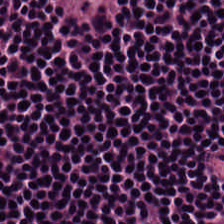H&E-stained tissue section — The tissue class is lymphocytic infiltrate.
